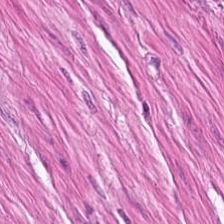H&E.
The tissue class is smooth muscle.
